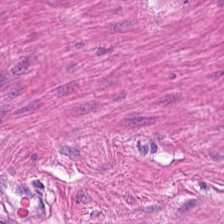Hematoxylin-and-eosin stained section.
The predominant tissue is smooth-muscle tissue.
